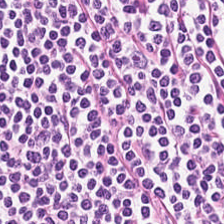The tissue here is lymphoid infiltrate.
